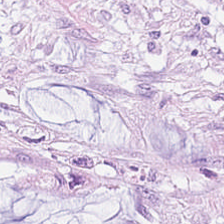H&E — This patch shows mucin.
